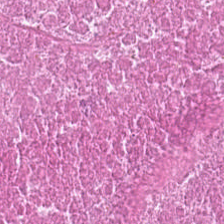This patch shows debris.
